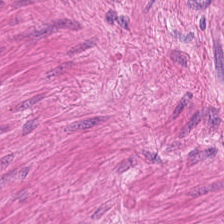Q: What is shown in this field?
A: The field shows smooth muscle.
